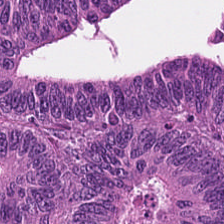WSI patch · H&E stain — Classification: adenocarcinoma.
